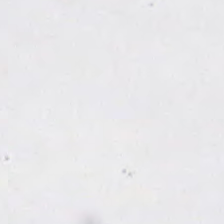0.5 µm/px. Hematoxylin-and-eosin stained section — The classification is background.
